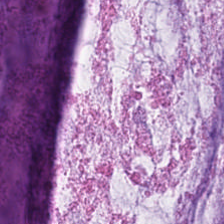H&E-stained tissue section. Histology → extracellular mucin.
